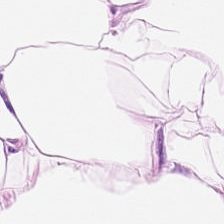{"tissue_type": "adipocytes"}
